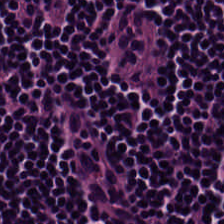H&E-stained tissue section — Predominant tissue — lymphocytic infiltrate.
